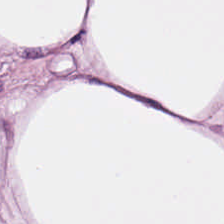Classification: fat tissue.
